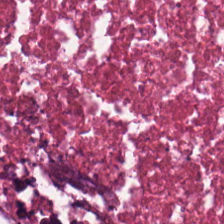H&E patch showing cellular debris.
